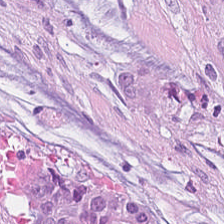H&E-stained tissue section · brightfield microscopy.
The predominant tissue is extracellular mucin.
